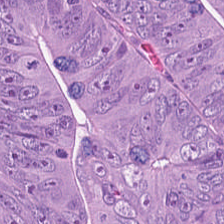Hematoxylin and eosin. Malignant epithelium.
